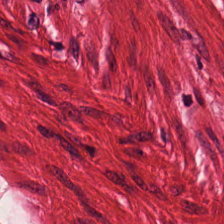H&E — smooth-muscle tissue.
